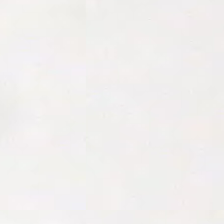Stain: H&E-stained tissue section.
Content: background (no tissue).
